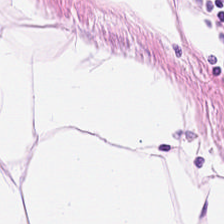Q: What tissue is shown?
A: This is adipocytes.
